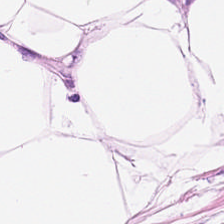This field is adipose.
